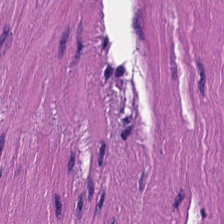H&E-stained tissue section showing smooth muscle.
